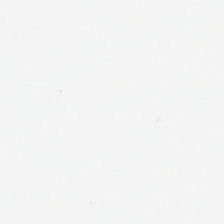Stain: hematoxylin-and-eosin stained section.
Content: no tissue.
